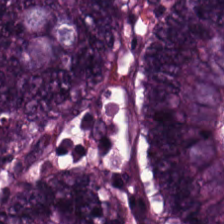Whole-slide-image patch. Hematoxylin-and-eosin stained section. 0.5 µm/px. Finding → colorectal adenocarcinoma.
